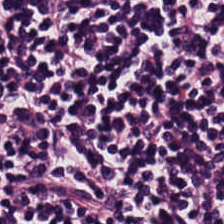H&E stain.
The tissue class is lymphocytic infiltrate.
